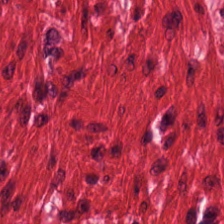H&E stain; FFPE; brightfield microscopy.
Q: What tissue is shown?
A: This is smooth muscle.
